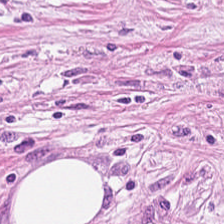Hematoxylin and eosin — The tissue here is desmoplastic stroma.
